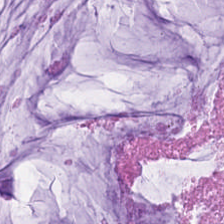H&E stain. Whole-slide-image patch — This field is mucin.
